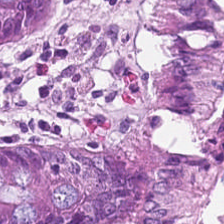Hematoxylin-and-eosin stained section — Tissue = benign colonic mucosa.
